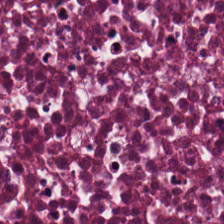Hematoxylin-and-eosin stained section. Q: What is the predominant tissue type?
A: Necrotic debris.
